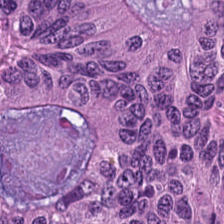0.5 µm per pixel · H&E — The predominant tissue is malignant epithelium.
